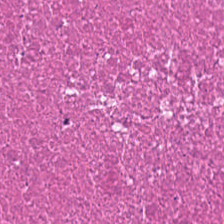Hematoxylin-and-eosin stained section · 0.5 µm per pixel — Classification: cellular debris.
